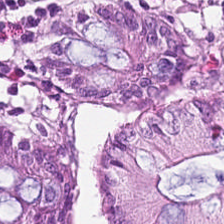Stain: hematoxylin-and-eosin stained section.
Tissue class: benign colonic mucosa.
